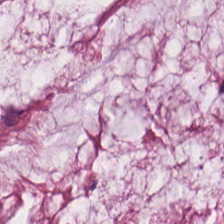Hematoxylin-and-eosin stained section — Tissue class = extracellular mucin.
